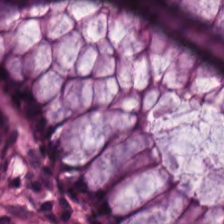Hematoxylin-and-eosin stained section. 224×224 px patch. Tissue: benign colonic mucosa.
